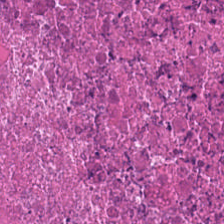H&E; 0.5 µm per pixel. {"tissue_type": "debris"}
